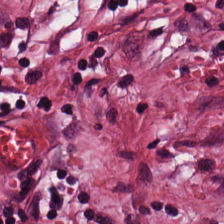Q: What is the predominant tissue type?
A: The field shows tumor stroma.
